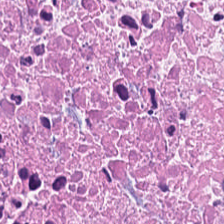Hematoxylin-and-eosin stained section. {"tissue_type": "debris"}
